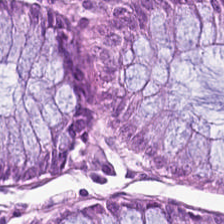Stain: H&E-stained tissue section.
Tissue: non-neoplastic colon mucosa.
